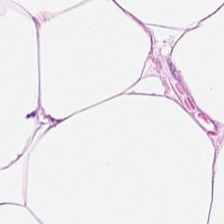H&E-stained tissue section — Predominant tissue: fat tissue.
